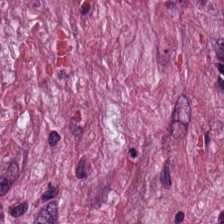224×224 px patch. H&E-stained tissue section.
Tissue class: cancer-associated stroma.
